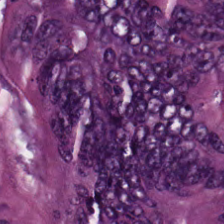H&E stain; WSI patch. Finding — tumor epithelium.
